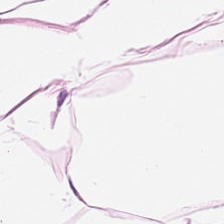Histology — adipocytes.
